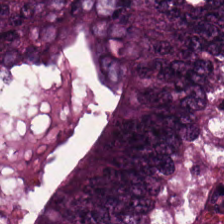Hematoxylin-and-eosin stained section. Impression — colorectal adenocarcinoma.
